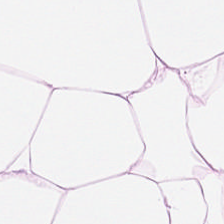Hematoxylin-and-eosin stained section. This patch shows adipose.
